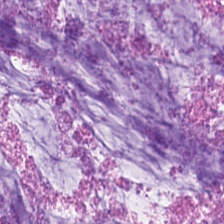0.5 microns per pixel; hematoxylin-and-eosin stained section.
Predominant tissue = mucus.
